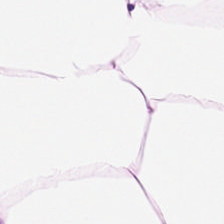H&E-stained tissue section. Showing adipocytes.
